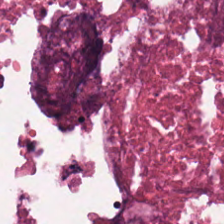The tissue here is debris.
